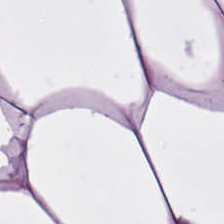H&E patch showing fat tissue.
